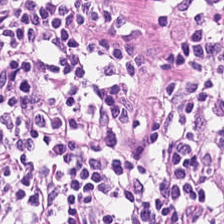Formalin-fixed paraffin-embedded section. Hematoxylin and eosin. Classification = lymphoid infiltrate.
